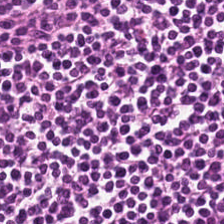224×224 pixel tile. H&E-stained tissue section. The predominant tissue is lymphoid infiltrate.
